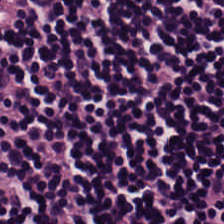Stain: H&E.
Preparation: FFPE.
Tile size: 224×224 pixel tile.
Tissue class: lymphocytes.
